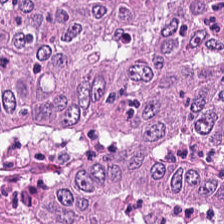Hematoxylin-and-eosin stained section — Q: What type of tissue is this?
A: This is colorectal adenocarcinoma epithelium.
